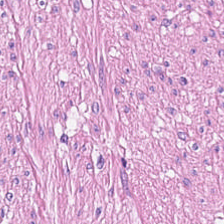H&E stain.
The predominant tissue is muscularis.
